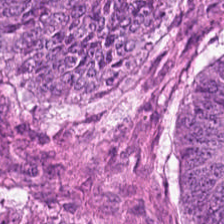Stain: hematoxylin-and-eosin stained section.
Classification: adenocarcinoma.
